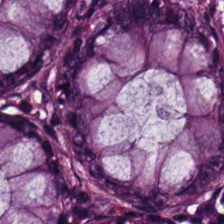Hematoxylin-and-eosin section: normal colonic mucosa.
